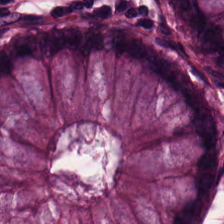H&E. WSI patch. FFPE.
Predominant tissue: benign colonic mucosa.
